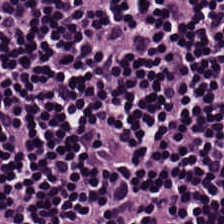H&E-stained tissue section. The predominant tissue is lymphoid infiltrate.
